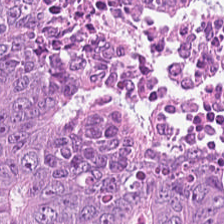0.5 microns per pixel. Hematoxylin and eosin. Classification = malignant epithelium.
